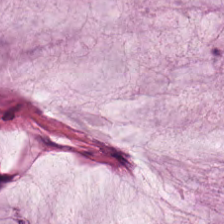Predominant tissue = mucin.
